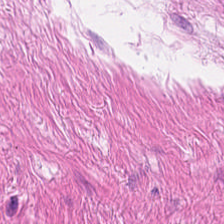H&E-stained tissue section · 20× equivalent magnification.
Q: What does this patch show?
A: Smooth-muscle tissue.
